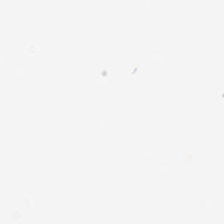H&E · 224×224 px tile.
Content = background.
